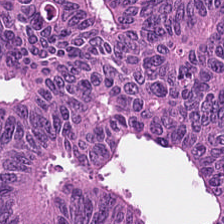{"tissue_type": "tumor epithelium"}
